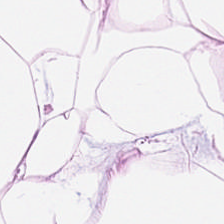Q: What tissue is shown?
A: Adipose tissue.
